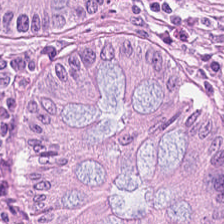H&E-stained tissue section. FFPE — This patch shows non-neoplastic colon mucosa.
